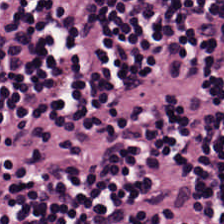Classification = lymphocyte aggregate.
